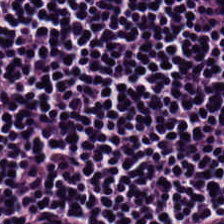Formalin-fixed paraffin-embedded section; brightfield microscopy; H&E-stained tissue section. Tissue class = lymphocytic infiltrate.
